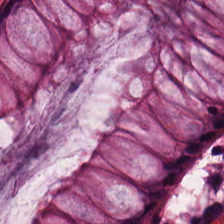H&E-stained section; the field shows benign colonic mucosa.
